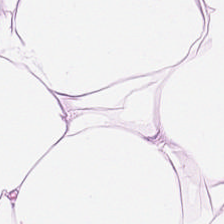H&E-stained tissue section · 224×224 px patch.
This field is fat tissue.
